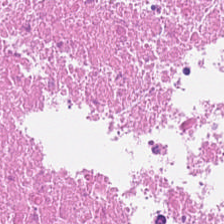Hematoxylin and eosin. {"tissue_type": "debris"}
